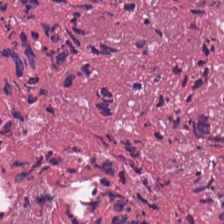Q: What is the predominant tissue type?
A: Debris.
